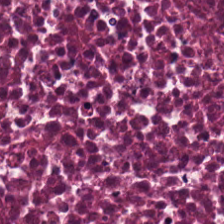Hematoxylin and eosin.
The predominant tissue is debris.
